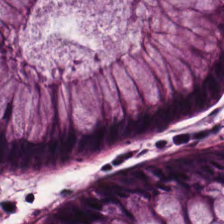This field is non-neoplastic colon mucosa.
